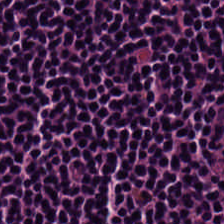The tissue type is lymphocytic infiltrate.
